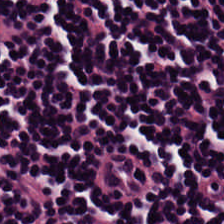This field is lymphocyte aggregate.
